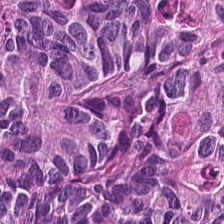Stain: H&E stain.
Tissue: colorectal adenocarcinoma epithelium.
